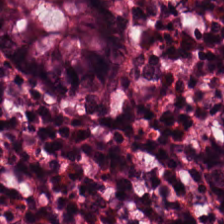H&E — The predominant tissue is normal colonic mucosa.
